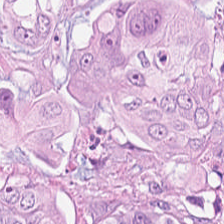Q: What is shown in this field?
A: It is colorectal adenocarcinoma.
